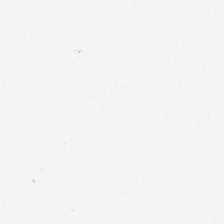WSI patch; H&E-stained tissue section — Empty background.
